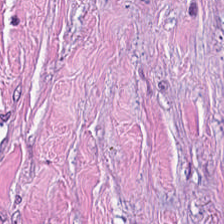Histology → tumor-associated stroma.
